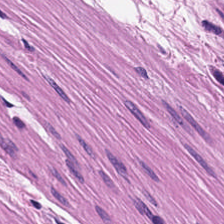Q: What does this patch show?
A: Smooth-muscle tissue.
